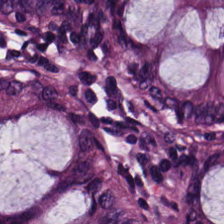H&E · 224×224 px patch.
This patch shows benign colonic mucosa.
